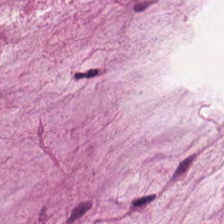Hematoxylin and eosin — The tissue class is mucus.
